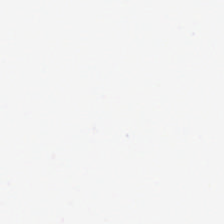Whole-slide-image patch. Hematoxylin and eosin. 224×224 pixel tile. Finding — background (no tissue).
